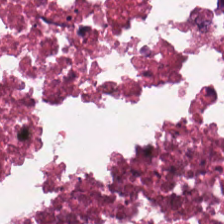H&E — Predominantly necrotic debris.
